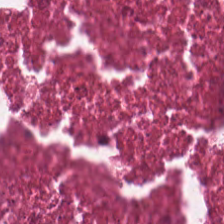Hematoxylin and eosin. The predominant tissue is cellular debris.
